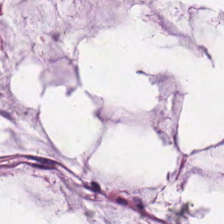Hematoxylin-and-eosin stained section.
Tissue = extracellular mucin.
